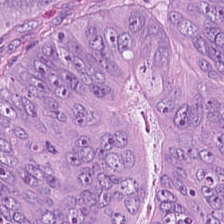H&E stain; 224×224 pixel tile.
Q: What tissue type is shown here?
A: This is adenocarcinoma.
